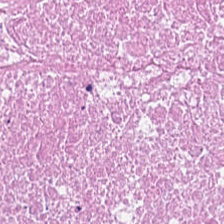H&E stain — Predominant tissue = debris.
